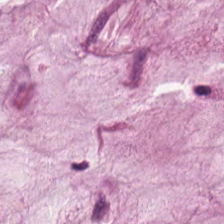Q: What type of tissue is this?
A: It is extracellular mucin.
